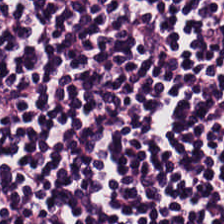H&E stain — Tissue class: lymphocytes.
